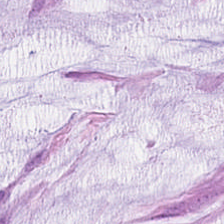H&E. {"tissue_type": "mucus"}
